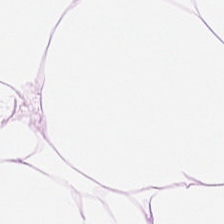The classification is adipose tissue.
